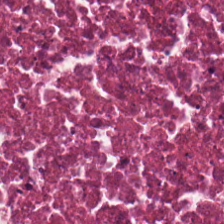Hematoxylin-and-eosin stained section.
Finding — necrotic debris.
